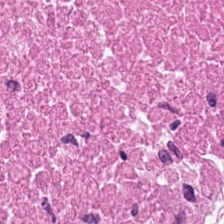H&E-stained tissue section.
Predominantly cellular debris.
